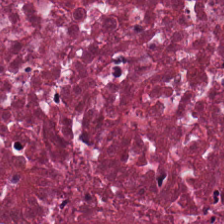Stain: hematoxylin-and-eosin stained section.
Tissue class: necrotic debris.
